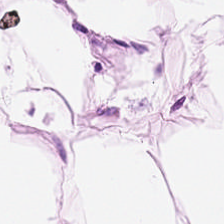Whole-slide-image patch; hematoxylin-and-eosin stained section.
Showing fat tissue.
